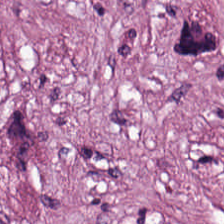Stain: H&E.
Tissue type: tumor stroma.
